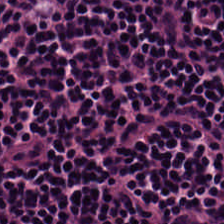H&E stain; 224×224 px tile.
Lymphocytes.
